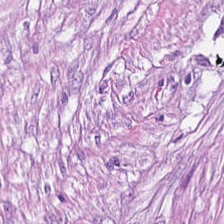H&E stain.
Impression → desmoplastic stroma.
